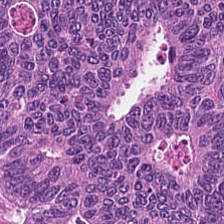The predominant tissue is tumor epithelium.
